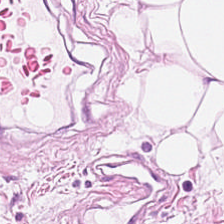Finding → fat tissue.
